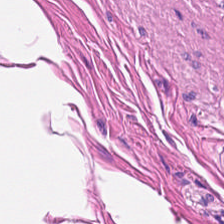Stain: H&E.
Acquisition: brightfield microscopy.
Preparation: FFPE tissue section.
Classification: smooth-muscle tissue.
